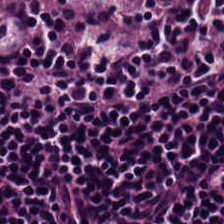Q: What does this patch show?
A: It is lymphocytes.
